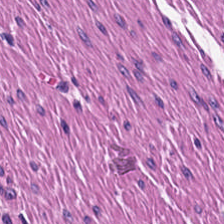Hematoxylin-and-eosin stained section — Predominantly smooth-muscle tissue.
